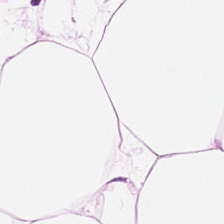H&E stain — Showing adipose.
